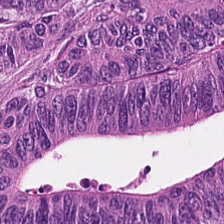Q: What tissue is shown?
A: Colorectal adenocarcinoma.
